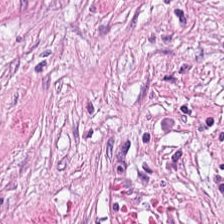Finding — desmoplastic stroma.
